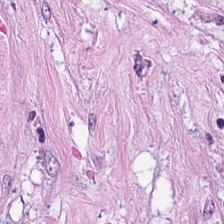FFPE tissue section; 224×224 px tile; hematoxylin and eosin.
Tissue type — tumor stroma.
